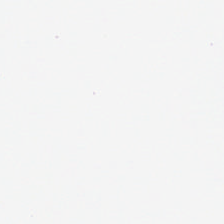Hematoxylin and eosin; FFPE tissue section. Impression → background.
